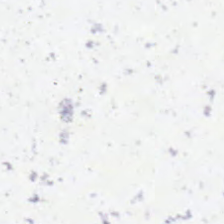0.5 µm/px · H&E. Background (no tissue).
